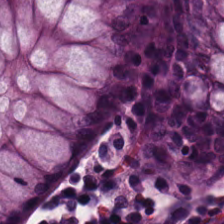Tissue type = normal colonic mucosa.
